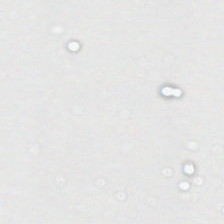H&E-stained tissue section — This field is background (no tissue).
